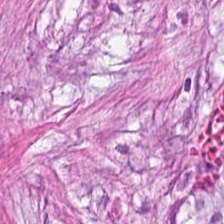Predominant tissue = cancer-associated stroma.
